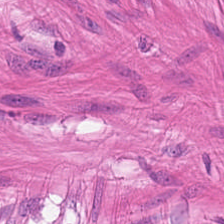Predominantly smooth-muscle tissue.
